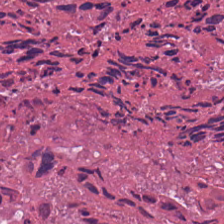224×224 px tile; H&E stain. Q: What tissue is shown?
A: This is necrotic debris.
